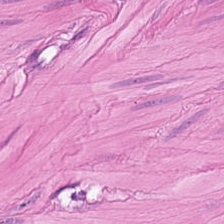Formalin-fixed paraffin-embedded section · H&E · whole-slide-image patch. {"tissue_type": "muscularis"}
